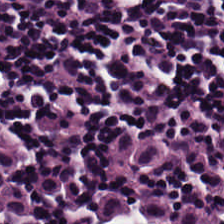FFPE tissue section; H&E-stained tissue section. Predominantly lymphocyte aggregate.
